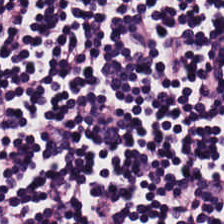{"tissue_type": "lymphocyte aggregate"}
